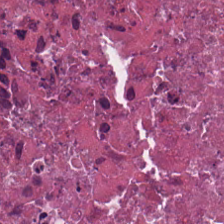20× equivalent magnification. Hematoxylin and eosin.
Showing debris.
